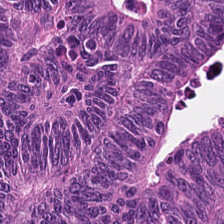The classification is malignant epithelium.
